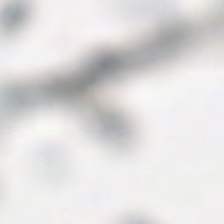Formalin-fixed paraffin-embedded section. 224×224 pixel tile. H&E.
Q: What does this patch show?
A: The field shows background.
